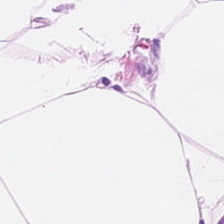H&E. Predominantly fat tissue.
